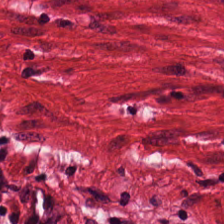H&E; WSI patch; 224×224 px patch.
Q: What is the predominant tissue type?
A: It is smooth muscle.
